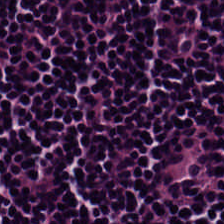H&E-stained tissue section.
This patch shows lymphocytic infiltrate.
